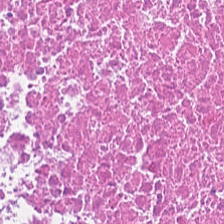H&E · 20× equivalent magnification · FFPE tissue section. This field is necrotic debris.
